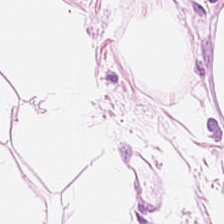H&E-stained tissue section. Adipose tissue.
